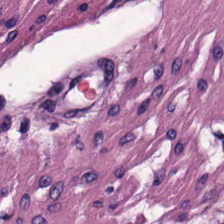This field is smooth-muscle tissue.
